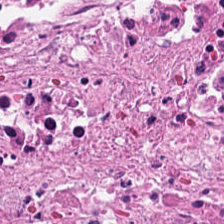H&E — {"tissue_type": "debris"}
